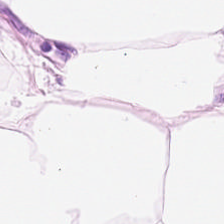Hematoxylin-and-eosin stained section · WSI patch · 224×224 px patch. The tissue here is adipocytes.
